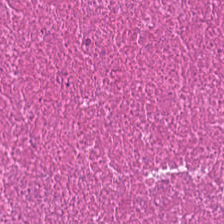224×224 px tile; H&E-stained tissue section; whole-slide-image patch. Finding → necrotic debris.
